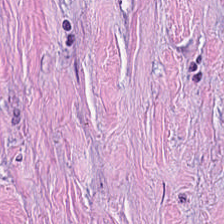Hematoxylin-and-eosin stained section. Classification: tumor stroma.
